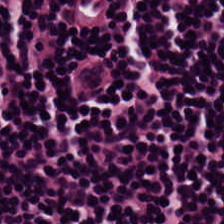FFPE tissue section · hematoxylin-and-eosin stained section. {"tissue_type": "lymphocytes"}
